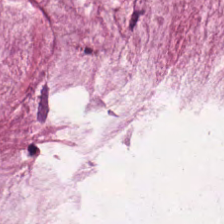H&E-stained section; the field shows extracellular mucin.
